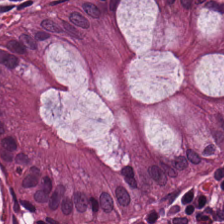Formalin-fixed paraffin-embedded section; H&E stain; 224×224 pixel tile. Normal colonic mucosa.
